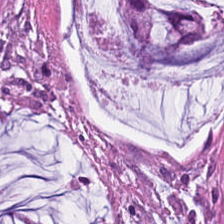20× equivalent magnification · hematoxylin and eosin. The tissue here is mucin.
